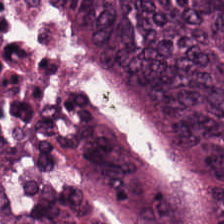Whole-slide-image patch. Hematoxylin-and-eosin stained section — The classification is malignant epithelium.
